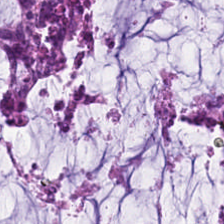Q: What tissue type is shown here?
A: This is mucin.
